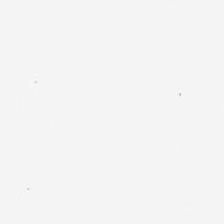H&E stain. Histology — empty background.
